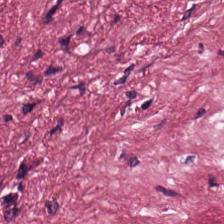H&E. 224×224 pixel tile. WSI patch — Predominant tissue — tumor stroma.
